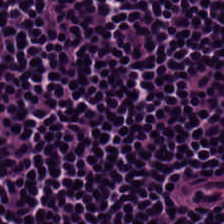Hematoxylin-and-eosin stained section.
The tissue is lymphocyte aggregate.
